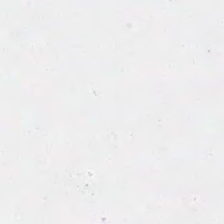Histology → empty background.
